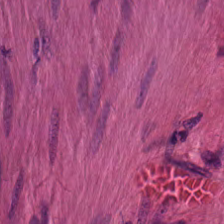Hematoxylin-and-eosin stained section.
Tissue class: smooth-muscle tissue.
